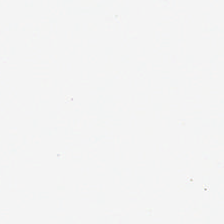Hematoxylin and eosin — This field is background (no tissue).
